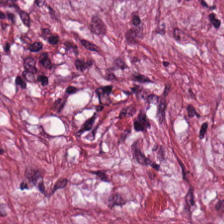H&E stain. The tissue is desmoplastic stroma.
